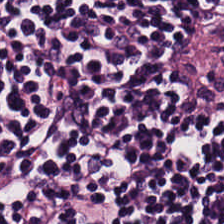This patch shows lymphocytic infiltrate.
